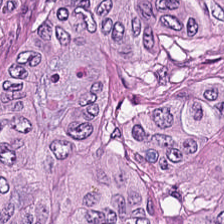The tissue here is tumor epithelium.
